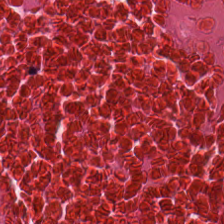Necrotic debris.
